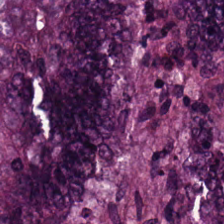Stain: H&E.
Tissue: colorectal adenocarcinoma epithelium.
